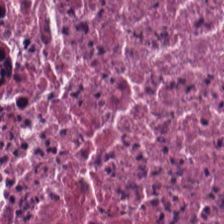Q: What tissue is shown?
A: Cellular debris.
